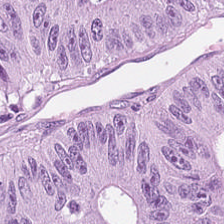Hematoxylin and eosin. The tissue here is tumor epithelium.
